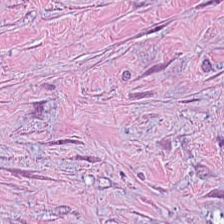H&E stain — The tissue class is desmoplastic stroma.
